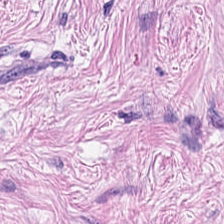H&E — tumor-associated stroma.
